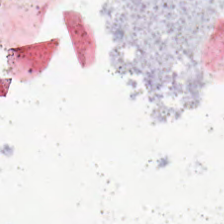Field content = background (no tissue).
